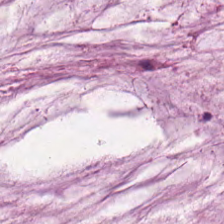Q: What tissue is shown?
A: The field shows extracellular mucin.
